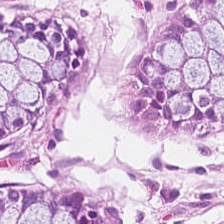224×224 px patch; 0.5 µm per pixel; H&E stain — Predominant tissue = normal colonic mucosa.
